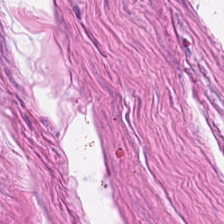Stain: H&E-stained tissue section.
Tissue class: smooth-muscle tissue.
